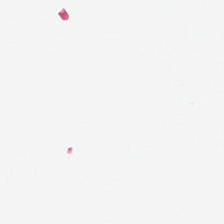H&E-stained tissue section. Empty field — background (no tissue).
